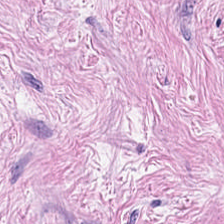Hematoxylin and eosin — The predominant tissue is tumor-associated stroma.
